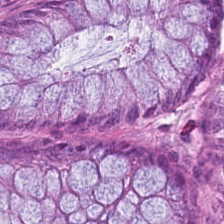Hematoxylin-and-eosin stained section — Normal colon mucosa.
